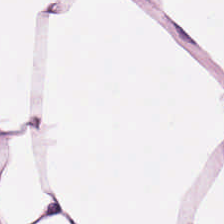H&E stain.
The predominant tissue is adipose.
